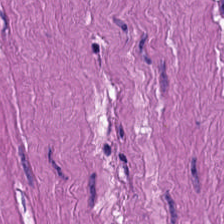Hematoxylin and eosin.
Q: What does this patch show?
A: The field shows muscularis.
